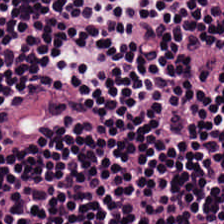0.5 microns per pixel; FFPE; H&E — Tissue class: lymphocytes.
